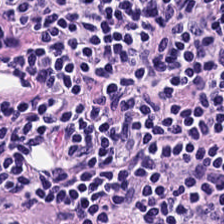Q: Identify the tissue.
A: This is lymphocytes.
